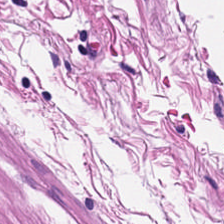H&E-stained section; the field shows smooth-muscle tissue.
